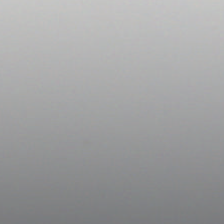Stain: H&E stain.
Classification: empty background.
